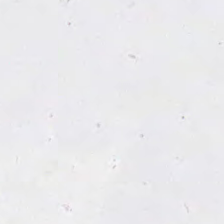Stain: hematoxylin and eosin.
Classification: background (no tissue).
